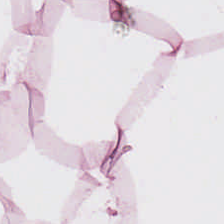Hematoxylin-and-eosin stained section. WSI patch — Q: What does this patch show?
A: Adipose.
